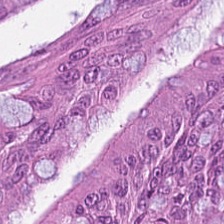Brightfield microscopy; 224×224 px tile; hematoxylin-and-eosin stained section — Q: Classify this patch.
A: This is malignant epithelium.
